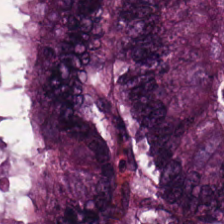FFPE; H&E-stained tissue section; 0.5 µm per pixel. Tissue class: malignant epithelium.
